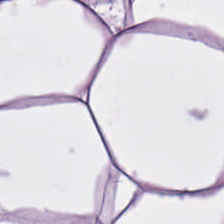H&E-stained tissue section. Predominantly adipose tissue.
